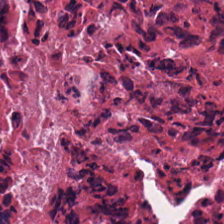Stain: hematoxylin-and-eosin stained section.
Preparation: FFPE tissue section.
Classification: necrotic debris.
